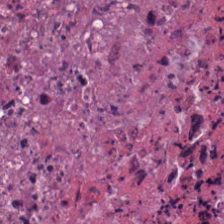Hematoxylin-and-eosin stained section — Q: What is shown in this field?
A: It is necrotic debris.
